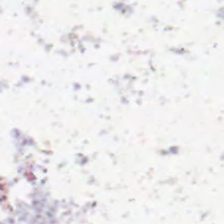{"content": "background"}
